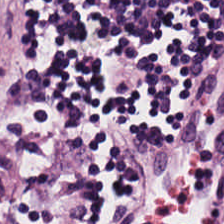Stain: H&E.
Tissue class: lymphocyte aggregate.
